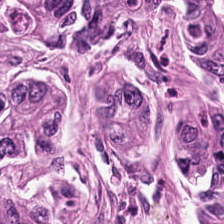H&E-stained tissue section.
Finding → malignant epithelium.
